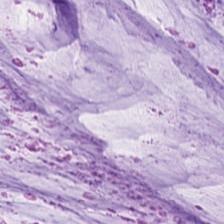Hematoxylin and eosin — Tissue type: mucin.
